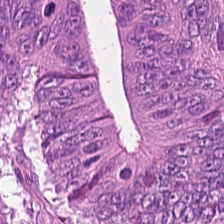{"tissue_type": "colorectal adenocarcinoma epithelium"}
